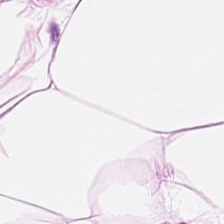Hematoxylin and eosin; 224×224 px tile.
Predominantly adipocytes.
